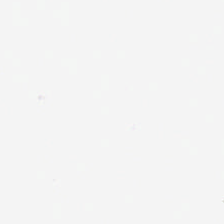Hematoxylin and eosin — Field content = background.
